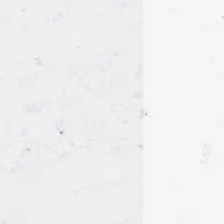The classification is background.
